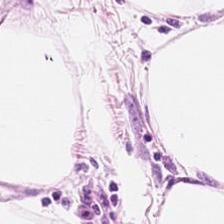Stain: H&E stain.
Classification: adipose tissue.
